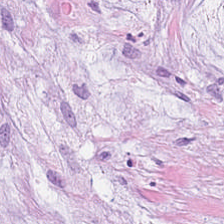H&E stain. Predominant tissue — mucin.
